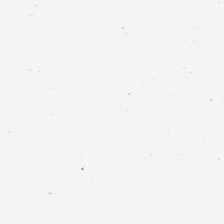Classification — empty background.
